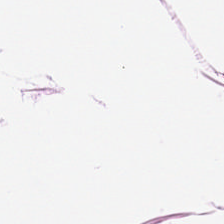This patch shows fat tissue.
